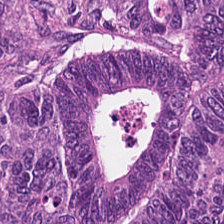Hematoxylin-and-eosin stained section.
Q: Classify this patch.
A: This is tumor epithelium.
